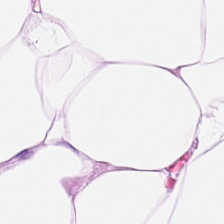Impression — adipose tissue.
